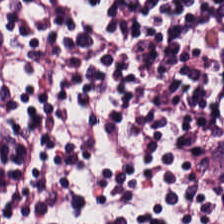FFPE; brightfield; hematoxylin-and-eosin stained section.
The tissue here is lymphocyte aggregate.
